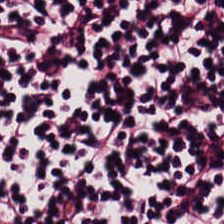H&E. Classification — lymphoid infiltrate.
